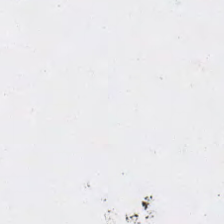H&E-stained tissue section. Field content = empty background.
